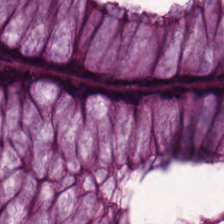Hematoxylin-and-eosin stained section — The tissue class is normal colon mucosa.
